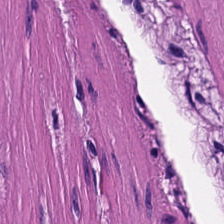H&E-stained tissue section. Showing muscularis.
